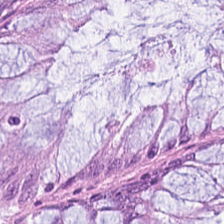Benign colonic mucosa.
